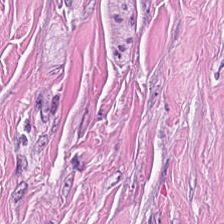H&E · WSI patch.
Histology — tumor-associated stroma.
